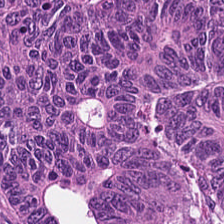H&E-stained tissue section. Formalin-fixed paraffin-embedded section — This field is adenocarcinoma.
